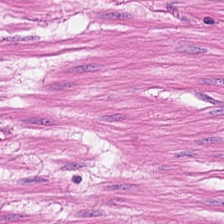Stain: H&E stain.
Predominant tissue: muscularis.
